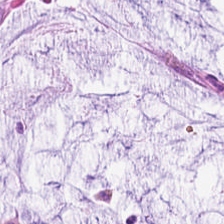H&E stain.
Tissue type: mucin.
